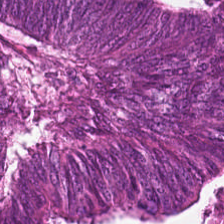Stain: H&E-stained tissue section.
Tile size: 224×224 px tile.
Tissue class: tumor epithelium.
